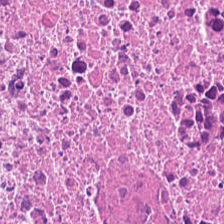H&E stain.
Impression — cellular debris.
